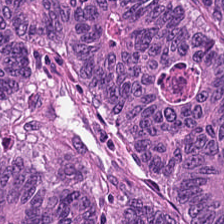0.5 microns per pixel. H&E stain.
Impression — adenocarcinoma.
